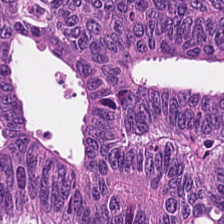224×224 px tile. Brightfield microscopy. H&E-stained tissue section. The tissue type is colorectal adenocarcinoma.
